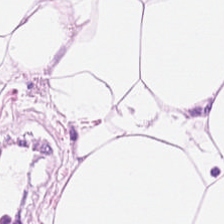Stain: H&E stain.
Tissue class: fat tissue.
